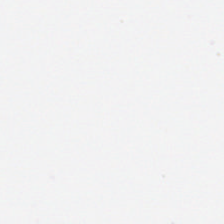Hematoxylin-and-eosin stained section · brightfield microscopy.
Content: background.
